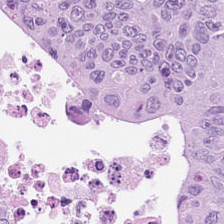H&E-stained section; the field shows tumor epithelium.
